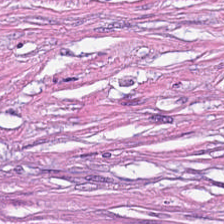H&E stain — Showing cancer-associated stroma.
